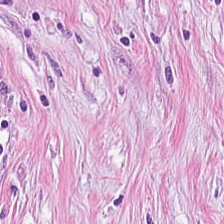20× equivalent magnification · H&E stain · FFPE tissue section. Tissue class — cancer-associated stroma.
